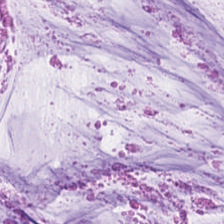H&E stain · 20× equivalent magnification.
The tissue here is extracellular mucin.
